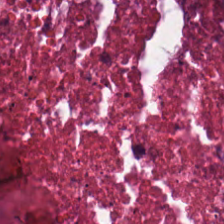Classification — debris.
